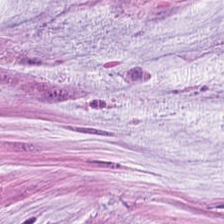The tissue class is mucus.
